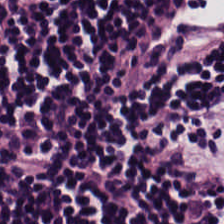Hematoxylin-and-eosin stained section. Predominantly lymphoid infiltrate.
